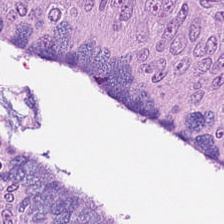H&E stain.
Q: What is shown in this field?
A: It is malignant epithelium.
